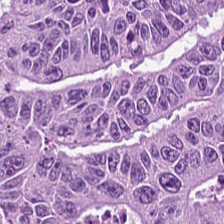Hematoxylin and eosin · 224×224 px patch.
Finding — tumor epithelium.
